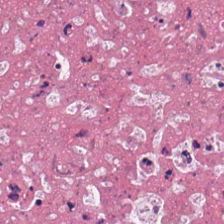Stain: hematoxylin and eosin.
Resolution: 20× equivalent magnification.
Preparation: formalin-fixed paraffin-embedded section.
Classification: cellular debris.
